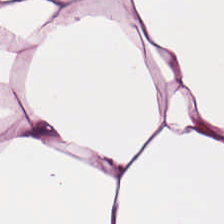Stain: H&E.
Acquisition: whole-slide-image patch.
Resolution: 0.5 µm per pixel.
Tissue: fat tissue.
